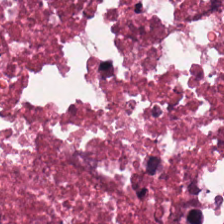Formalin-fixed paraffin-embedded section · H&E · 224×224 px tile. This field is cellular debris.
